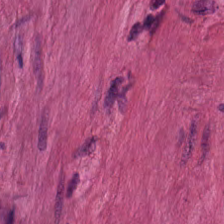Brightfield · FFPE tissue section · H&E stain.
Q: What tissue is shown?
A: Smooth-muscle tissue.
